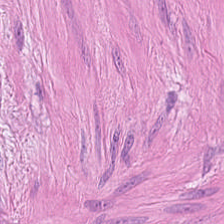FFPE. Hematoxylin and eosin. Brightfield. The predominant tissue is smooth muscle.
